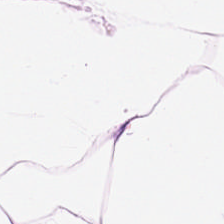H&E.
Showing adipose.
